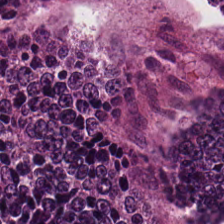Hematoxylin-and-eosin stained section; 224×224 px patch; brightfield — Classification: malignant epithelium.
